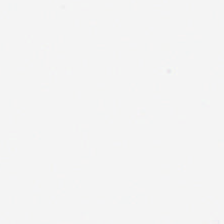Q: What is shown here?
A: It is background (no tissue).
